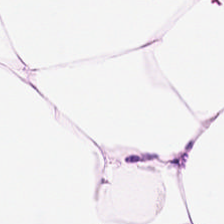H&E stain · formalin-fixed paraffin-embedded section — Showing adipose.
